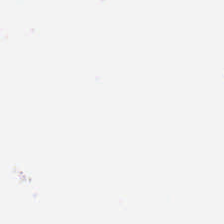FFPE tissue section. Hematoxylin-and-eosin stained section.
Empty field — empty background.
